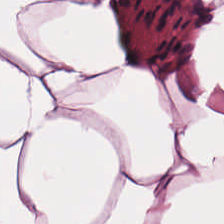Finding → adipose.
